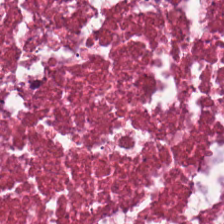224×224 pixel tile; H&E — Q: What does this patch show?
A: It is debris.
